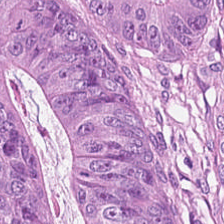Whole-slide-image patch · 224×224 px patch · H&E-stained tissue section. The predominant tissue is tumor epithelium.
